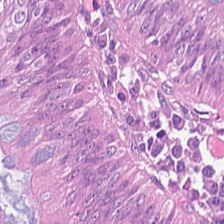{"tissue_type": "colorectal adenocarcinoma epithelium"}
